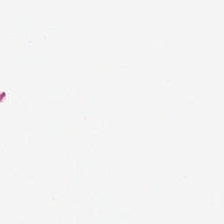H&E — Classification — empty background.
